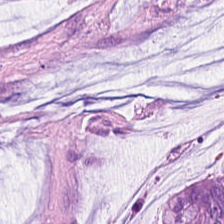Predominant tissue: mucus.
